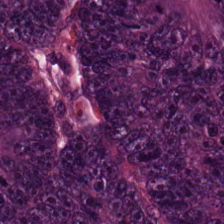Hematoxylin and eosin.
Classification = colorectal adenocarcinoma.
